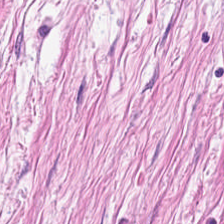H&E stain. Classification = cancer-associated stroma.
